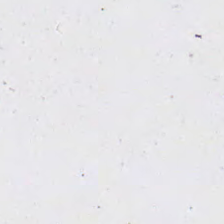Hematoxylin and eosin. 224×224 px patch. Brightfield. Impression — empty background.
